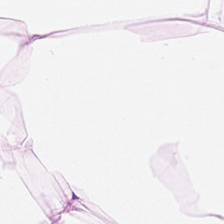H&E. Predominantly adipocytes.
